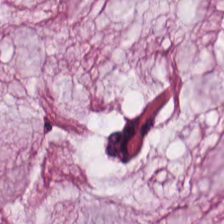Hematoxylin and eosin — Mucus.
